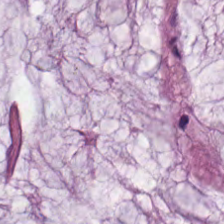H&E stain. Impression — extracellular mucin.
